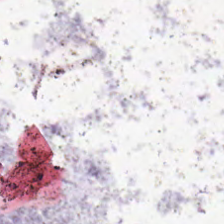Hematoxylin and eosin — This patch shows background.
